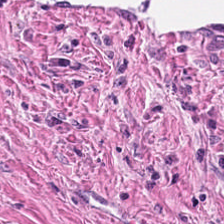H&E · 0.5 µm per pixel.
Tumor stroma.
